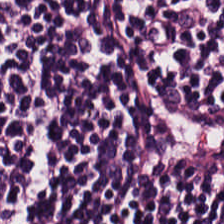H&E-stained tissue section. Histology → lymphocyte aggregate.
